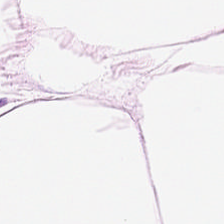H&E-stained tissue section.
Showing adipose.
